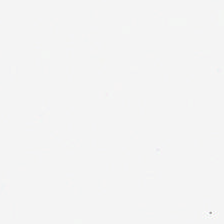Q: What is shown here?
A: This is background (no tissue).
